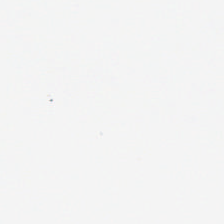Histology — empty background.
